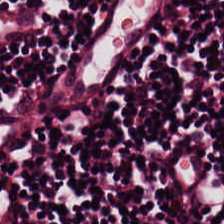Hematoxylin-and-eosin stained section.
Predominant tissue = lymphocytes.
